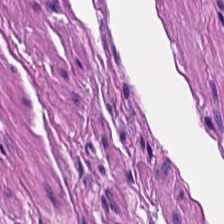0.5 µm per pixel · H&E-stained tissue section. The tissue here is smooth muscle.
